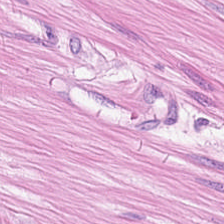Q: What is shown in this field?
A: It is muscularis.
